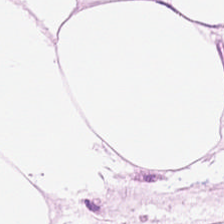H&E-stained tissue section.
Tissue type: adipose.
